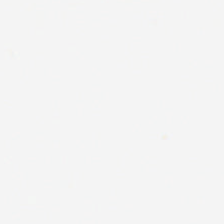H&E-stained tissue section; whole-slide-image patch. Field content: background.
